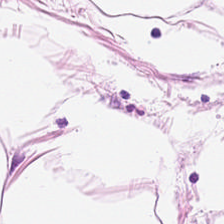Stain: hematoxylin and eosin.
Predominant tissue: adipocytes.
